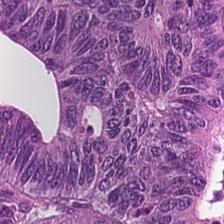Q: What is the predominant tissue type?
A: It is malignant epithelium.
